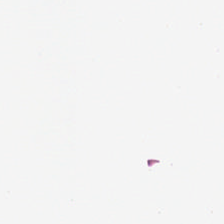H&E — {"content": "background"}
